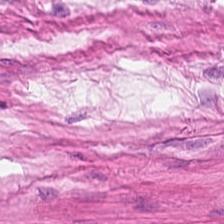Histology → smooth muscle.
